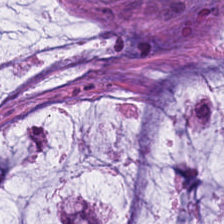H&E-stained tissue section. Classification — mucin.
